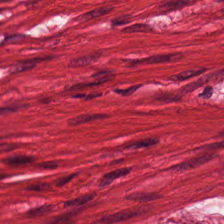The classification is muscularis.
